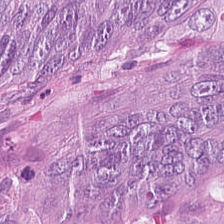Hematoxylin and eosin · WSI patch · 0.5 µm per pixel. Tissue type = malignant epithelium.
